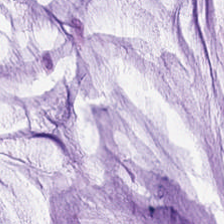FFPE tissue section; WSI patch; H&E.
Q: What is the predominant tissue type?
A: The field shows extracellular mucin.
